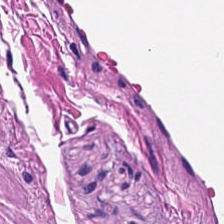H&E-stained tissue section — This field is smooth muscle.
